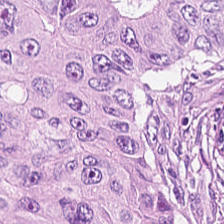Formalin-fixed paraffin-embedded section; H&E-stained tissue section — Malignant epithelium.
